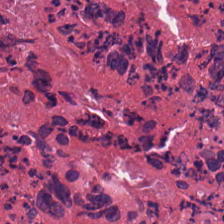H&E stain; formalin-fixed paraffin-embedded section.
Impression — cellular debris.
